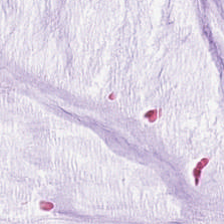Q: What does this patch show?
A: It is extracellular mucin.
